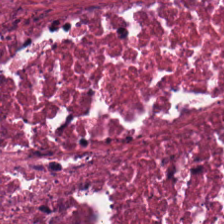Hematoxylin and eosin — Showing necrotic debris.
